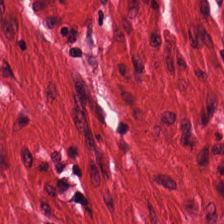H&E stain. Showing smooth muscle.
